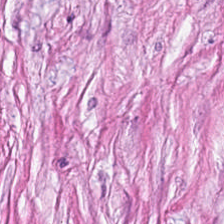The tissue here is cancer-associated stroma.
